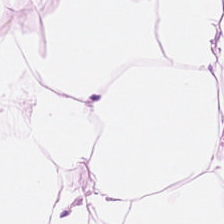H&E stain. This patch shows fat tissue.
